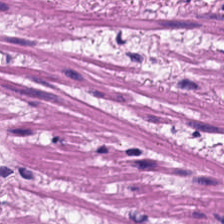Hematoxylin and eosin. Tissue class = muscularis.
